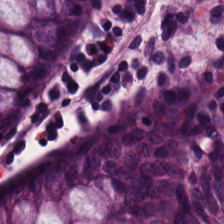H&E.
Normal colonic mucosa.
